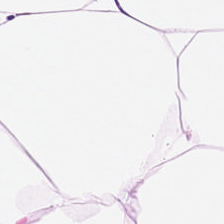H&E stain.
This field is adipose tissue.
